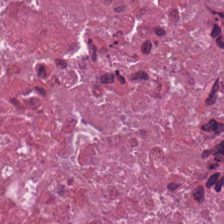Brightfield microscopy. H&E. Tissue type: necrotic debris.
